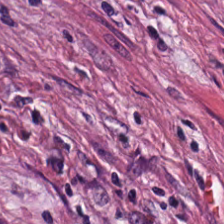Desmoplastic stroma.
